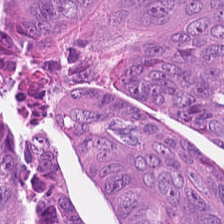The tissue here is tumor epithelium.
